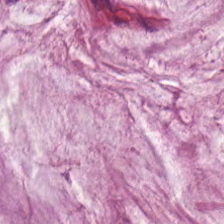H&E-stained tissue section.
Mucus.
